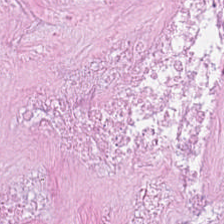Hematoxylin-and-eosin stained section · 20× equivalent magnification. The predominant tissue is debris.
